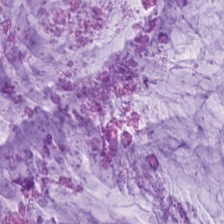H&E-stained tissue section — Classification: mucus.
